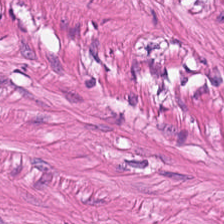FFPE; H&E. Q: What is shown here?
A: This is muscularis.
